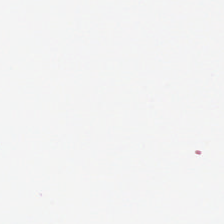Hematoxylin-and-eosin stained section.
Q: What is shown in this field?
A: The field shows background.
